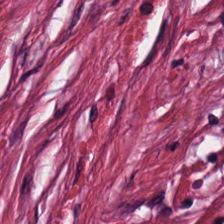Stain: H&E.
Tissue type: cancer-associated stroma.
